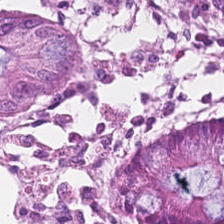The tissue here is normal colon mucosa.
